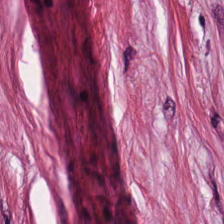H&E.
The tissue here is cancer-associated stroma.
